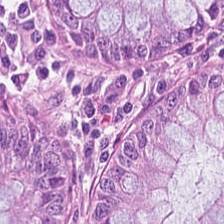Stain: H&E stain.
Tile size: 224×224 px patch.
Predominant tissue: normal colonic mucosa.
